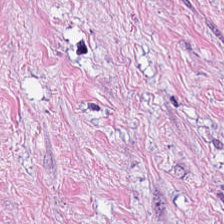Stain: H&E-stained tissue section.
Resolution: 20× equivalent magnification.
Tissue type: desmoplastic stroma.
